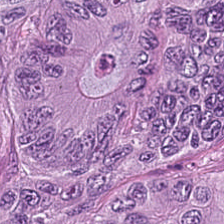Tissue class: colorectal adenocarcinoma.
